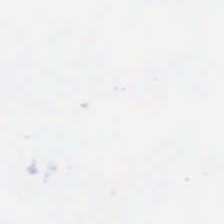0.5 µm/px; H&E stain; formalin-fixed paraffin-embedded section — {"content": "empty background"}
